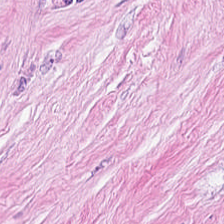H&E-stained tissue section; formalin-fixed paraffin-embedded section — This patch shows desmoplastic stroma.
